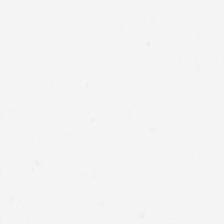H&E stain. Histology → empty background.
